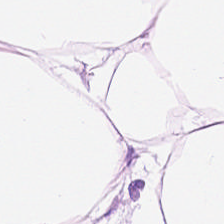Hematoxylin and eosin. Predominantly adipose.
